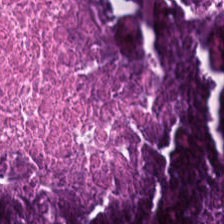Hematoxylin-and-eosin stained section · 0.5 µm/px — Necrotic debris.
